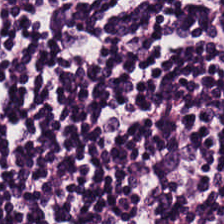Hematoxylin and eosin; FFPE tissue section; WSI patch. Predominantly lymphocytic infiltrate.
